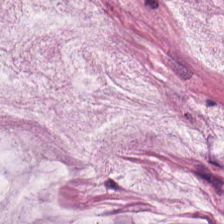H&E-stained tissue section. Q: Classify this patch.
A: Mucin.
